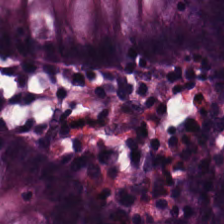0.5 µm/px. Formalin-fixed paraffin-embedded section. H&E — This field is normal colon mucosa.
